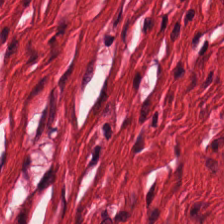20× equivalent magnification. Hematoxylin and eosin — {"tissue_type": "smooth-muscle tissue"}
